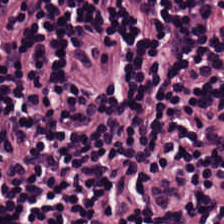Hematoxylin and eosin; 0.5 µm/px. The tissue here is lymphoid infiltrate.
